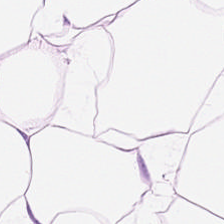Hematoxylin-and-eosin stained section. Whole-slide-image patch. Fat tissue.
